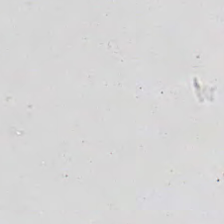Background (no tissue).
